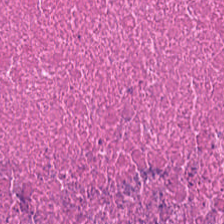H&E stain. Necrotic debris.
